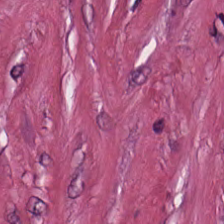The tissue here is cancer-associated stroma.
